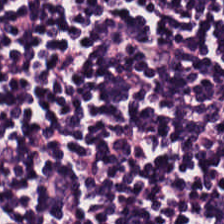Stain: H&E stain.
Tissue class: lymphocytic infiltrate.
